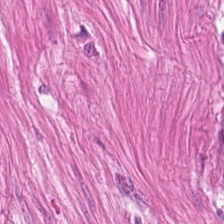Stain: hematoxylin and eosin.
Preparation: FFPE.
Tile size: 224×224 px patch.
Predominant tissue: smooth muscle.
